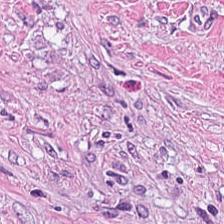WSI patch. H&E. 0.5 microns per pixel. Tissue = tumor stroma.
